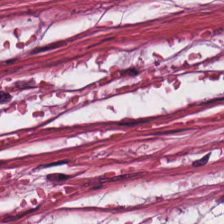The predominant tissue is tumor-associated stroma.
